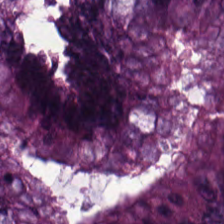Stain: H&E stain.
Tissue class: malignant epithelium.
